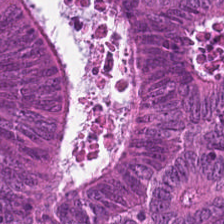H&E.
Impression → tumor epithelium.
